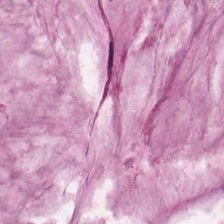H&E stain. {"tissue_type": "mucin"}
